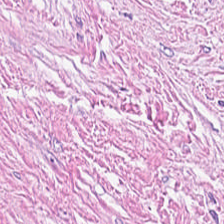Formalin-fixed paraffin-embedded section · hematoxylin-and-eosin stained section — Q: Identify the tissue.
A: Tumor stroma.
